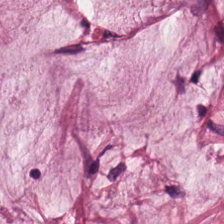Hematoxylin-and-eosin stained section; FFPE tissue section. The tissue here is extracellular mucin.
